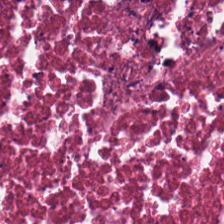Q: What is shown in this field?
A: Necrotic debris.
